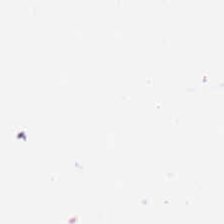H&E. Content — background (no tissue).
